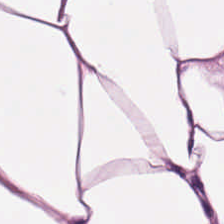Tissue type: adipose tissue.
